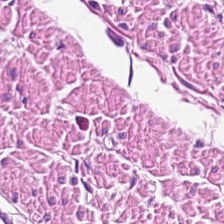Histology — muscularis.
